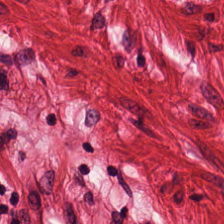FFPE tissue section. H&E. Predominant tissue = muscularis.
